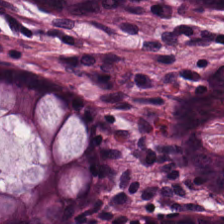H&E. The tissue here is normal colon mucosa.
